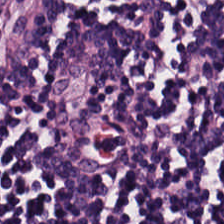Hematoxylin and eosin — This patch shows lymphocytic infiltrate.
